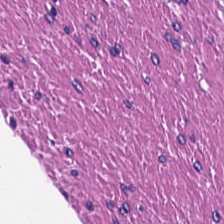Impression — smooth-muscle tissue.
